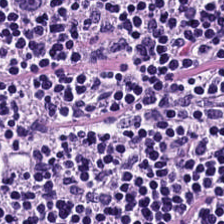Stain: H&E.
Tissue type: lymphoid infiltrate.
